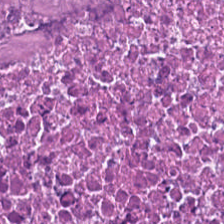Stain: H&E stain.
Resolution: 0.5 microns per pixel.
Acquisition: brightfield.
Predominant tissue: cellular debris.
